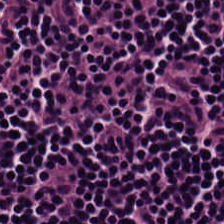Tissue — lymphocyte aggregate.
